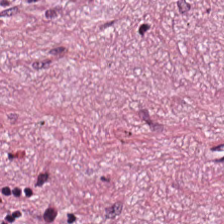0.5 microns per pixel · WSI patch · hematoxylin-and-eosin stained section — Q: What type of tissue is this?
A: It is tumor-associated stroma.
